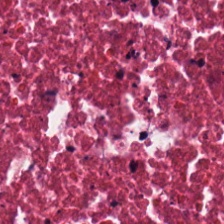{"tissue_type": "debris"}
